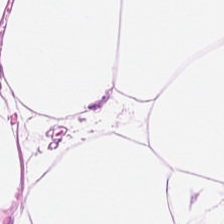224×224 px patch; hematoxylin-and-eosin stained section.
This patch shows adipose tissue.
